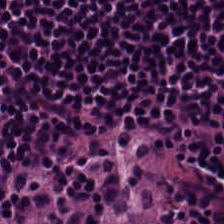H&E patch showing lymphocyte aggregate.
